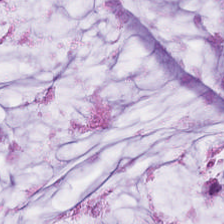Hematoxylin and eosin.
Extracellular mucin.
